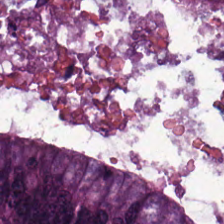H&E stain.
Q: What is shown in this field?
A: Adenocarcinoma.
